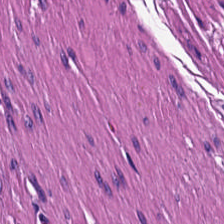H&E stain — Predominant tissue: muscularis.
